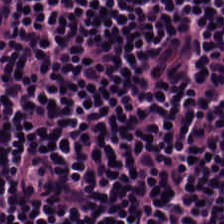H&E stain — {"tissue_type": "lymphocyte aggregate"}
